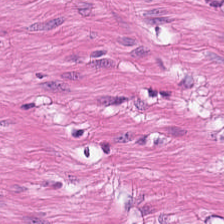Classification: muscularis.
